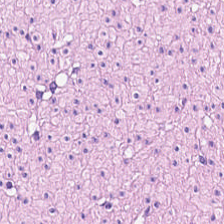20× equivalent magnification. H&E stain — Predominantly smooth-muscle tissue.
